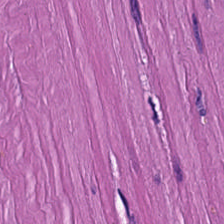224×224 px tile · whole-slide-image patch · hematoxylin and eosin — Predominantly smooth-muscle tissue.
